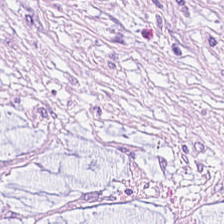Stain: H&E.
Preparation: FFPE.
Acquisition: brightfield microscopy.
Predominant tissue: mucin.
